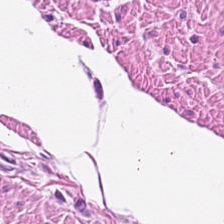Brightfield microscopy. Hematoxylin and eosin. 0.5 microns per pixel. Histology — smooth muscle.
